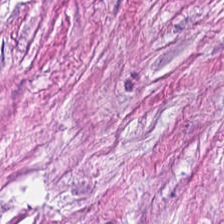Hematoxylin-and-eosin stained section · formalin-fixed paraffin-embedded section · 224×224 pixel tile.
This field is cancer-associated stroma.
